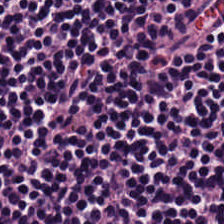Formalin-fixed paraffin-embedded section. 0.5 µm per pixel. H&E stain — Finding — lymphocytic infiltrate.
